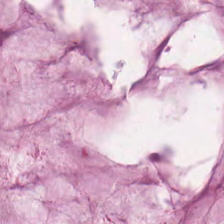Hematoxylin-and-eosin stained section · 224×224 px tile — Showing mucin.
